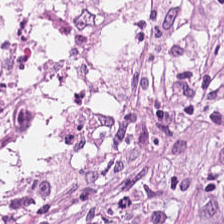Hematoxylin and eosin — Predominant tissue — cancer-associated stroma.
